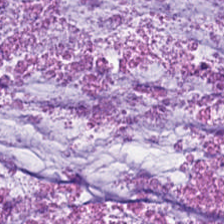Brightfield. H&E-stained tissue section.
Showing mucin.
